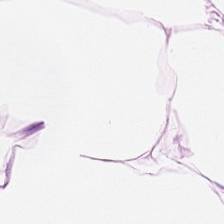H&E patch showing fat tissue.
